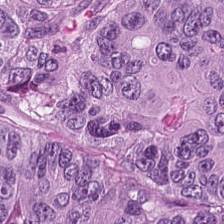Stain: H&E stain.
Tissue type: malignant epithelium.
